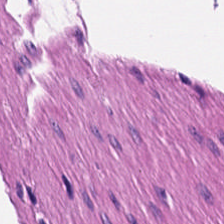Hematoxylin-and-eosin section: smooth-muscle tissue.
